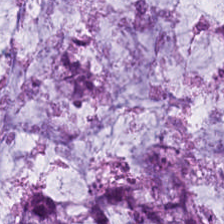Stain: hematoxylin and eosin.
Tile size: 224×224 px tile.
Acquisition: brightfield.
Tissue: extracellular mucin.
